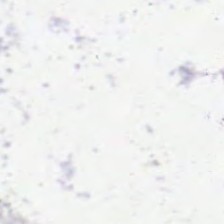H&E. 224×224 px patch. Formalin-fixed paraffin-embedded section.
This field is background (no tissue).
